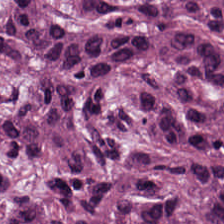Hematoxylin and eosin — This patch shows colorectal adenocarcinoma.
